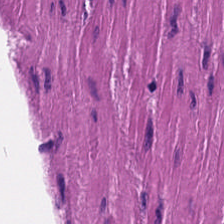H&E-stained tissue section — Predominant tissue — smooth muscle.
